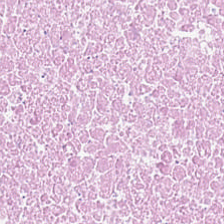The predominant tissue is cellular debris.
